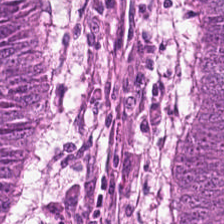H&E. 224×224 pixel tile — Colorectal adenocarcinoma.
